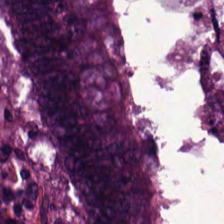H&E-stained tissue section.
Classification = tumor epithelium.
